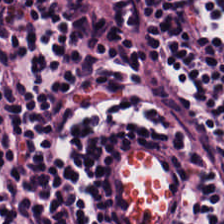Predominant tissue = lymphocyte aggregate.
